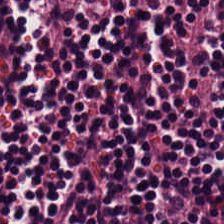H&E; 0.5 microns per pixel — This patch shows lymphocytic infiltrate.
